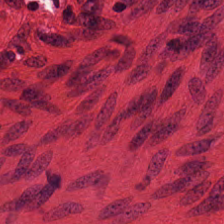Hematoxylin-and-eosin section: smooth-muscle tissue.
